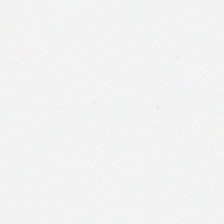H&E-stained tissue section; 0.5 microns per pixel — Field content — background.
